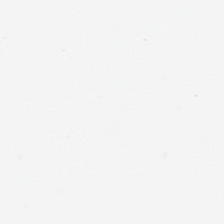224×224 px tile. Brightfield. H&E.
Histology — no tissue.
